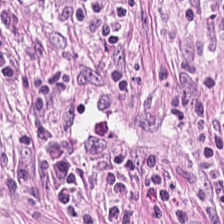0.5 microns per pixel · H&E. Predominantly desmoplastic stroma.
